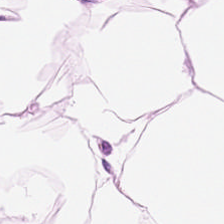Tissue: fat tissue.
